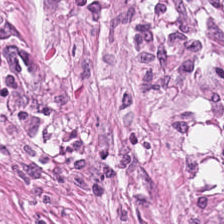Finding → tumor-associated stroma.
